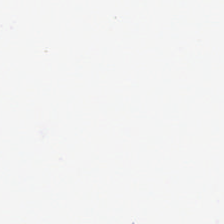Q: What does this patch show?
A: The field shows no tissue.
